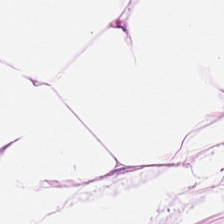H&E-stained tissue section. Classification — adipose.
